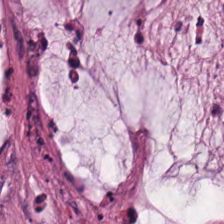H&E stain. 20× equivalent magnification. Mucus.
